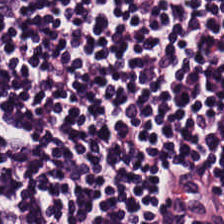Q: What is shown in this field?
A: Lymphocytes.
